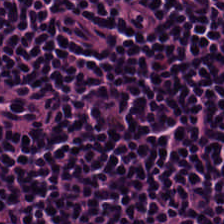H&E-stained tissue section.
This patch shows lymphoid infiltrate.
